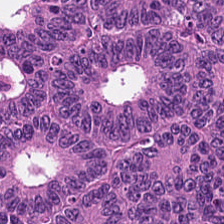Colorectal adenocarcinoma.
